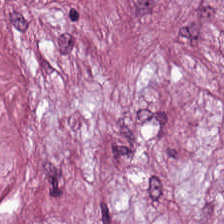Q: Classify this patch.
A: This is desmoplastic stroma.
